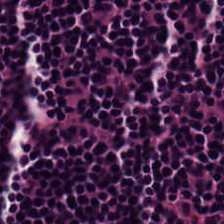H&E stain; FFPE.
Predominant tissue: lymphocyte aggregate.
